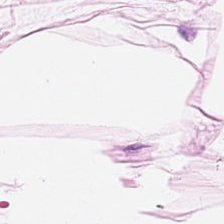Brightfield microscopy. 224×224 px tile. Hematoxylin and eosin — Tissue — adipose.
